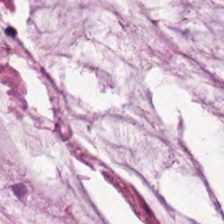H&E — Mucus.
